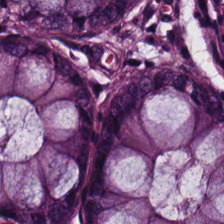Brightfield. H&E-stained tissue section. Histology → normal colonic mucosa.
